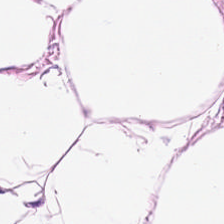H&E.
{"tissue_type": "adipose tissue"}
